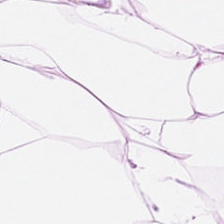224×224 px tile. H&E-stained tissue section. FFPE tissue section — Predominantly adipocytes.
